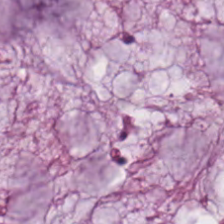Hematoxylin and eosin.
Predominant tissue — extracellular mucin.
